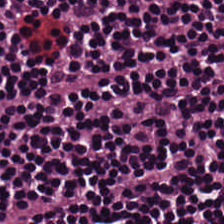Stain: hematoxylin and eosin.
Tissue: lymphoid infiltrate.
